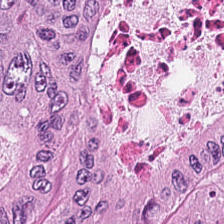0.5 µm per pixel · 224×224 px tile · hematoxylin-and-eosin stained section. {"tissue_type": "colorectal adenocarcinoma"}
